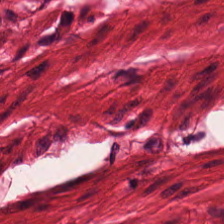H&E-stained tissue section. Q: What type of tissue is this?
A: The field shows smooth muscle.
